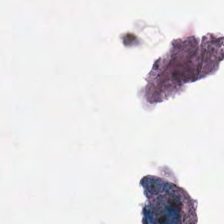Hematoxylin and eosin. Formalin-fixed paraffin-embedded section. This patch shows background (no tissue).
